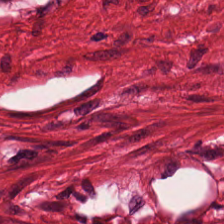Hematoxylin and eosin.
The tissue type is muscularis.
